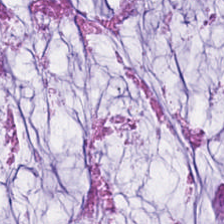FFPE · H&E — Showing mucin.
